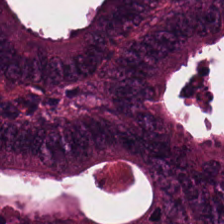This patch shows colorectal adenocarcinoma.
